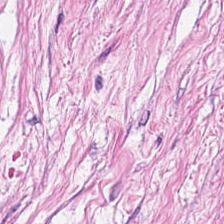Stain: hematoxylin and eosin.
Predominant tissue: desmoplastic stroma.
